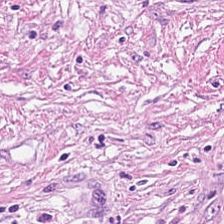The tissue is desmoplastic stroma.
